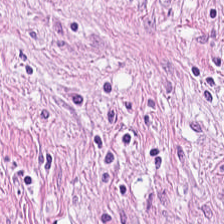The tissue class is desmoplastic stroma.
